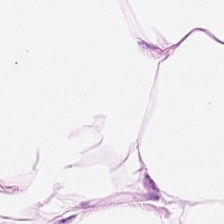WSI patch. Hematoxylin-and-eosin stained section. 0.5 microns per pixel. {"tissue_type": "adipocytes"}
